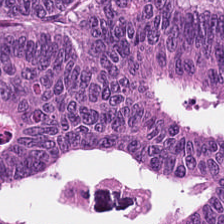H&E. Showing adenocarcinoma.
